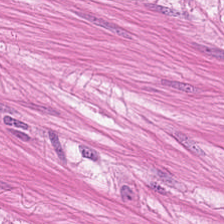H&E-stained tissue section · whole-slide-image patch · 224×224 px tile — Muscularis.
